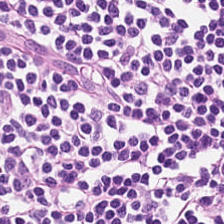0.5 microns per pixel. H&E.
The predominant tissue is lymphocyte aggregate.
